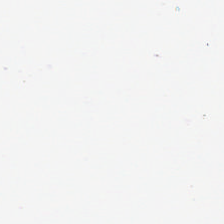No tissue present; background only.
